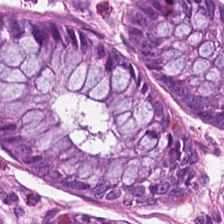Stain: H&E-stained tissue section.
Tile size: 224×224 px patch.
Tissue class: benign colonic mucosa.
